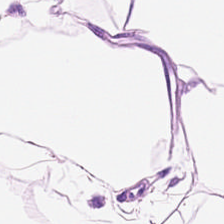Stain: H&E stain.
Resolution: 0.5 microns per pixel.
Tissue class: adipocytes.
